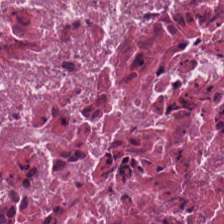H&E-stained tissue section.
Tissue class = debris.
